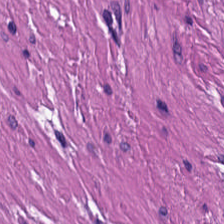Hematoxylin and eosin.
Muscularis.
